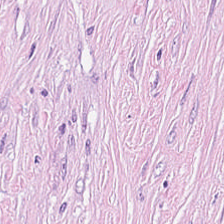Hematoxylin and eosin. Predominant tissue — tumor stroma.
